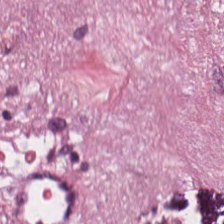Classification — cancer-associated stroma.
